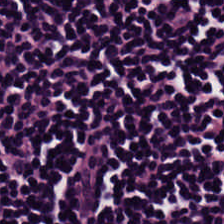H&E-stained tissue section — Predominant tissue: lymphoid infiltrate.
